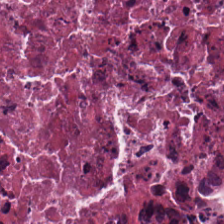H&E-stained tissue section · 0.5 µm per pixel.
Predominant tissue — debris.
